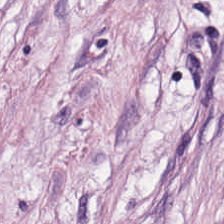20× equivalent magnification. FFPE tissue section. H&E stain.
Classification = tumor-associated stroma.
